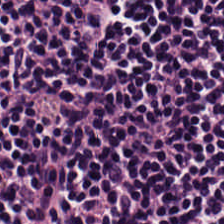H&E-stained tissue section. Impression — lymphocyte aggregate.
